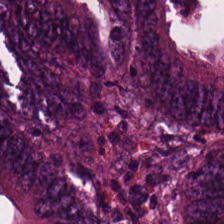Whole-slide-image patch; hematoxylin and eosin — Tissue type — adenocarcinoma.
